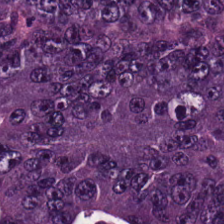Hematoxylin and eosin.
Histology — tumor epithelium.
